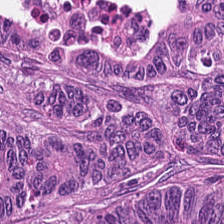H&E-stained tissue section.
This patch shows colorectal adenocarcinoma.
